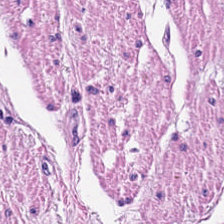Brightfield microscopy; hematoxylin and eosin — Tissue = smooth-muscle tissue.
